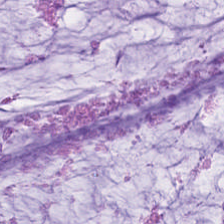H&E-stained tissue section — Q: What tissue is shown?
A: Extracellular mucin.
